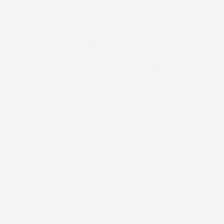224×224 px patch. Hematoxylin-and-eosin stained section. 0.5 µm per pixel. Finding → no tissue.
